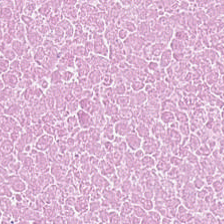Q: Classify this patch.
A: This is debris.
